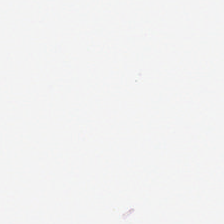Hematoxylin-and-eosin stained section · 224×224 pixel tile.
Empty background.
